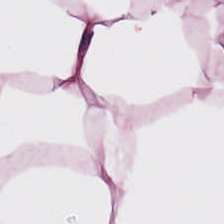Hematoxylin-and-eosin stained section.
Q: What is shown in this field?
A: It is adipose.
